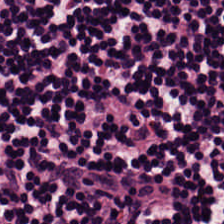Impression — lymphocytic infiltrate.
